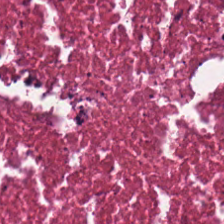Hematoxylin and eosin. Showing necrotic debris.
